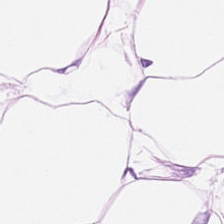H&E-stained tissue section. Showing adipose tissue.
